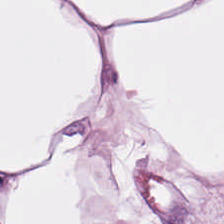Hematoxylin and eosin.
Predominant tissue = adipocytes.
